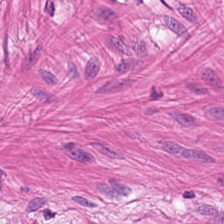Hematoxylin-and-eosin stained section — Tissue = smooth muscle.
